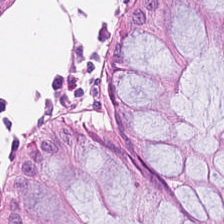0.5 µm/px. H&E stain. Brightfield microscopy. The tissue type is non-neoplastic colon mucosa.
